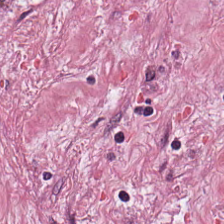H&E — Impression → tumor-associated stroma.
